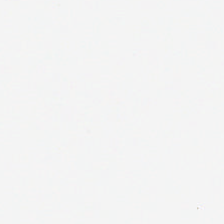Formalin-fixed paraffin-embedded section · H&E stain.
No tissue present; background only.
